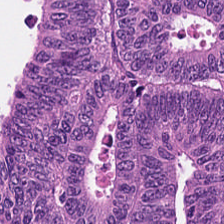Hematoxylin-and-eosin stained section; 0.5 microns per pixel.
Tissue: adenocarcinoma.
